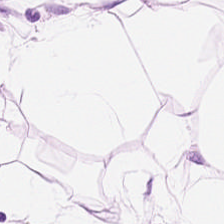Formalin-fixed paraffin-embedded section · H&E stain · WSI patch. The tissue type is adipocytes.
